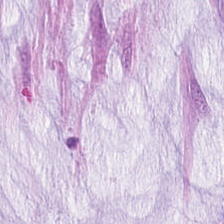Stain: H&E.
Tissue: mucus.
